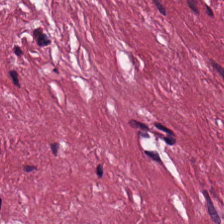Tissue type: tumor-associated stroma.
